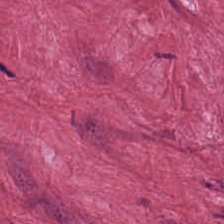224×224 px patch · H&E stain.
Finding → tumor-associated stroma.
